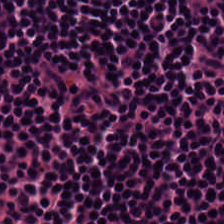H&E-stained tissue section · brightfield microscopy · formalin-fixed paraffin-embedded section — Showing lymphocyte aggregate.
